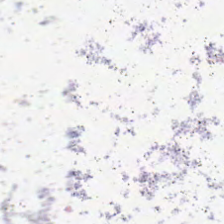H&E-stained tissue section. Empty field — background (no tissue).
